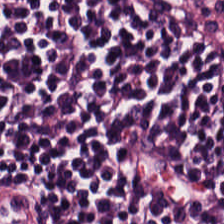Lymphocyte aggregate.
